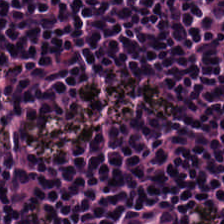224×224 px patch · H&E stain · 0.5 µm per pixel — Q: What is shown in this field?
A: The field shows lymphocytes.
